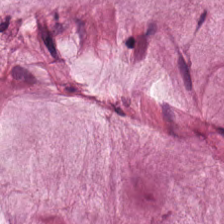H&E-stained tissue section. Brightfield — The predominant tissue is mucin.
